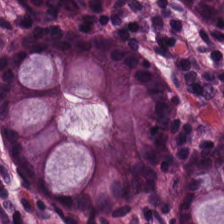0.5 µm per pixel; hematoxylin-and-eosin stained section. The predominant tissue is non-neoplastic colon mucosa.
